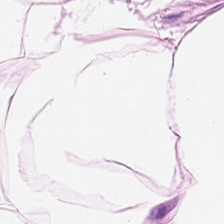Hematoxylin and eosin; FFPE. Adipose.
